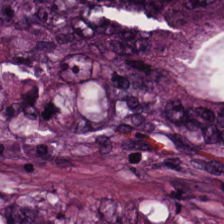Brightfield microscopy. H&E — Predominant tissue: colorectal adenocarcinoma.
